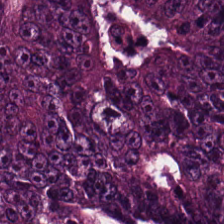H&E stain.
Classification = tumor epithelium.
